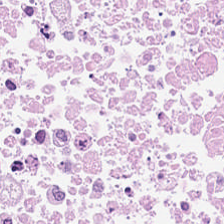0.5 µm per pixel · hematoxylin-and-eosin stained section.
Debris.
